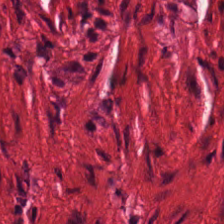H&E — Tissue class = muscularis.
